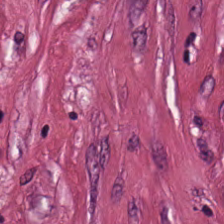H&E stain. Tissue type — desmoplastic stroma.
